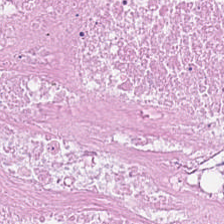Stain: H&E stain.
Tissue type: cellular debris.
